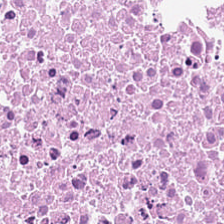H&E.
Q: What does this patch show?
A: The field shows debris.
